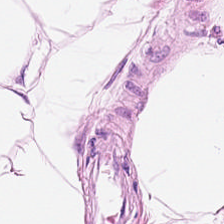H&E stain. 224×224 px patch. Brightfield.
Q: What does this patch show?
A: Adipose tissue.
